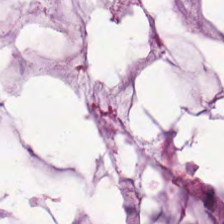H&E-stained tissue section. Tissue: mucin.
